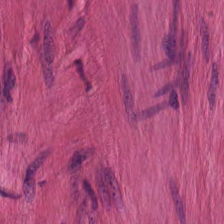{"tissue_type": "smooth-muscle tissue"}
